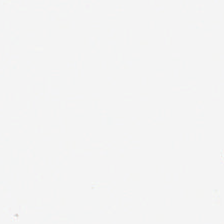Stain: hematoxylin and eosin.
Field content: empty background.
